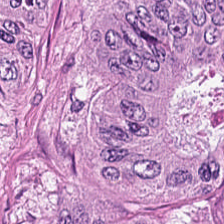The predominant tissue is malignant epithelium.
